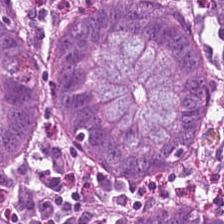Stain: H&E.
Tile size: 224×224 px tile.
Tissue type: normal colon mucosa.
